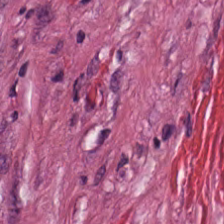Whole-slide-image patch · H&E-stained tissue section · 0.5 microns per pixel.
This field is tumor-associated stroma.
